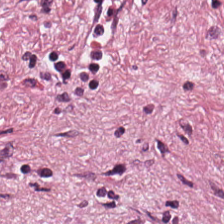0.5 µm/px; H&E stain. This patch shows desmoplastic stroma.
